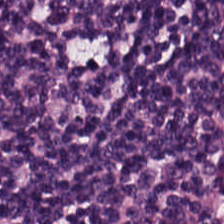Hematoxylin and eosin. 0.5 µm per pixel.
Finding — lymphocyte aggregate.
